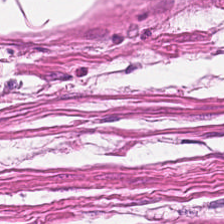Stain: H&E-stained tissue section.
Classification: muscularis.
